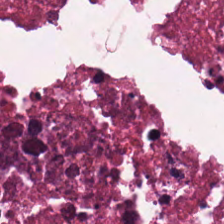Tissue class = debris.
